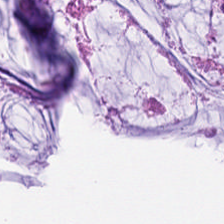0.5 microns per pixel; whole-slide-image patch; hematoxylin and eosin.
Tissue type = extracellular mucin.
